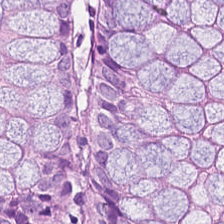Q: What is the predominant tissue type?
A: This is normal colon mucosa.
